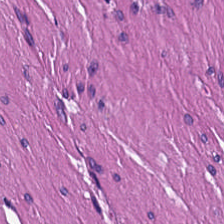0.5 µm per pixel; hematoxylin and eosin; FFPE. Q: What does this patch show?
A: Muscularis.
